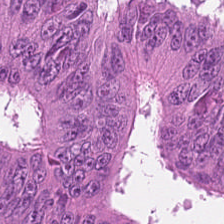Stain: H&E.
Predominant tissue: colorectal adenocarcinoma epithelium.
